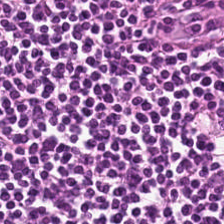H&E-stained tissue section — The predominant tissue is lymphocyte aggregate.
